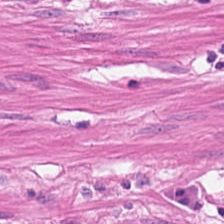{"tissue_type": "smooth muscle"}
